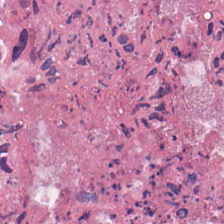Stain: hematoxylin-and-eosin stained section.
Predominant tissue: debris.
